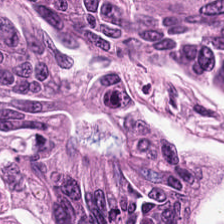Hematoxylin-and-eosin stained section. Tissue — malignant epithelium.
